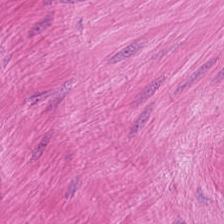Impression → smooth-muscle tissue.
